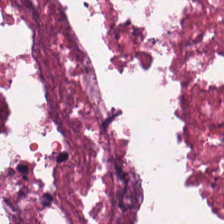H&E-stained tissue section. Predominantly debris.
